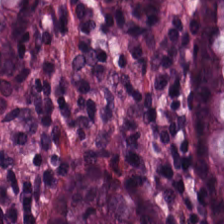H&E-stained tissue section · 0.5 µm per pixel. Tissue = normal colon mucosa.
